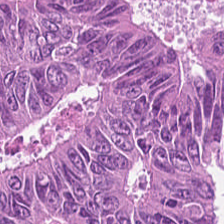Stain: hematoxylin and eosin.
Tissue class: colorectal adenocarcinoma.
